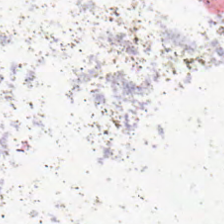Hematoxylin-and-eosin stained section; 224×224 px patch; formalin-fixed paraffin-embedded section.
Q: What does this patch show?
A: Background.
